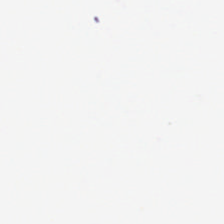Field content: no tissue.
